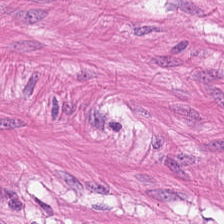H&E stain. Predominantly muscularis.
